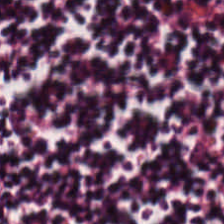Brightfield microscopy · hematoxylin-and-eosin stained section · formalin-fixed paraffin-embedded section — Finding → lymphocyte aggregate.
